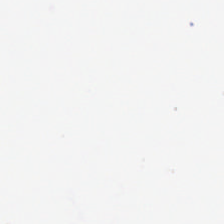H&E. Classification = empty background.
